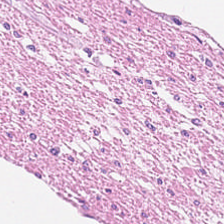H&E. 20× equivalent magnification. Tissue type: smooth-muscle tissue.
